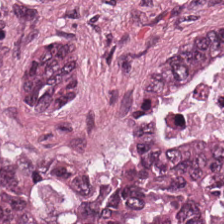Stain: H&E stain.
Tile size: 224×224 pixel tile.
Classification: colorectal adenocarcinoma.
